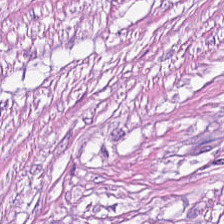Classification — tumor stroma.
